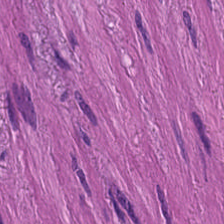Whole-slide-image patch · H&E-stained tissue section · 0.5 µm/px. Tissue type — smooth muscle.
